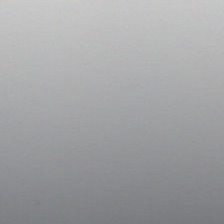H&E.
This field is background (no tissue).
